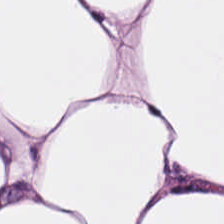224×224 px patch. 0.5 µm/px. H&E — Q: What type of tissue is this?
A: The field shows adipose.
